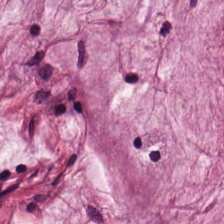Hematoxylin-and-eosin stained section. FFPE — Mucin.
